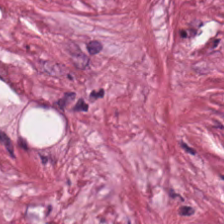Brightfield. H&E. Predominantly tumor stroma.
